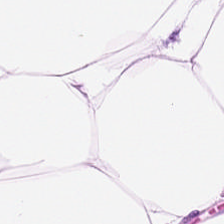H&E stain. Brightfield — The tissue type is adipocytes.
